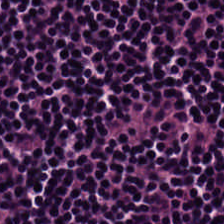This patch shows lymphocytes.
